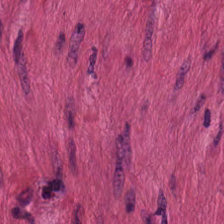H&E-stained section; the field shows muscularis.
